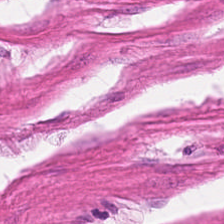Q: What is shown here?
A: Smooth-muscle tissue.
